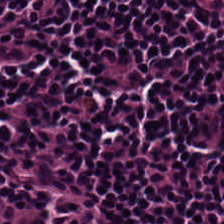Stain: hematoxylin-and-eosin stained section.
Preparation: formalin-fixed paraffin-embedded section.
Tissue type: lymphocyte aggregate.
